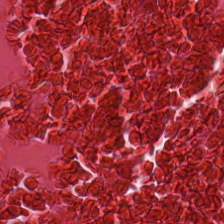Stain: H&E-stained tissue section.
Acquisition: brightfield microscopy.
Tissue type: necrotic debris.
